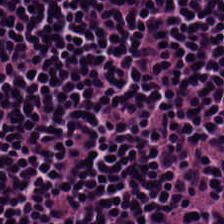H&E-stained tissue section. Brightfield microscopy.
Finding — lymphocyte aggregate.
